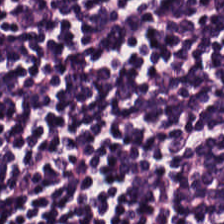WSI patch; 0.5 µm/px; H&E stain. This field is lymphoid infiltrate.
